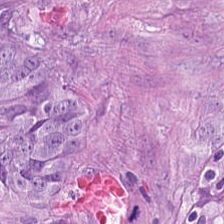Formalin-fixed paraffin-embedded section · H&E-stained tissue section · 224×224 pixel tile. Histology — tumor epithelium.
